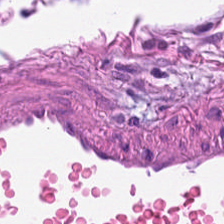This patch shows smooth-muscle tissue.
